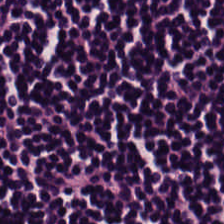FFPE tissue section. Hematoxylin-and-eosin stained section. 224×224 pixel tile.
Impression → lymphoid infiltrate.
